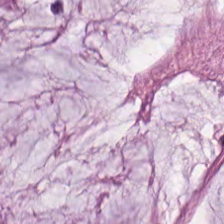WSI patch; H&E. Q: What is shown in this field?
A: Mucin.
